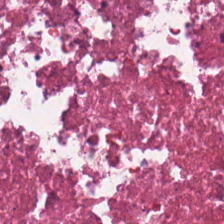H&E stain. Histology → debris.
